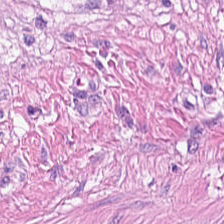Stain: H&E.
Tissue class: smooth muscle.
